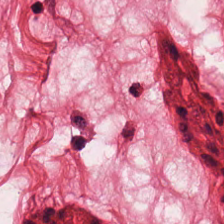Brightfield; H&E-stained tissue section; 0.5 microns per pixel.
This patch shows smooth-muscle tissue.
